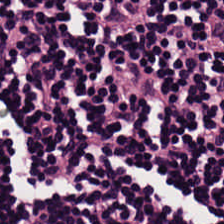FFPE; H&E stain — This patch shows lymphocyte aggregate.
